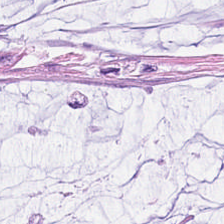Stain: hematoxylin and eosin.
Tissue class: mucin.
